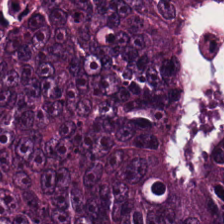Stain: H&E-stained tissue section.
Classification: colorectal adenocarcinoma.
